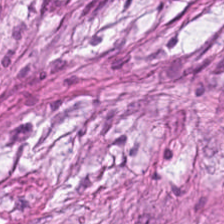H&E stain. 224×224 px tile — {"tissue_type": "tumor stroma"}
